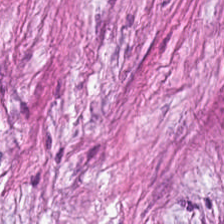Stain: H&E stain.
Tissue type: cancer-associated stroma.
